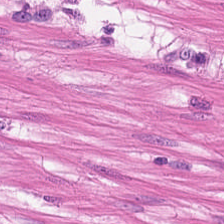FFPE. H&E-stained tissue section — Q: What is shown here?
A: The field shows muscularis.
